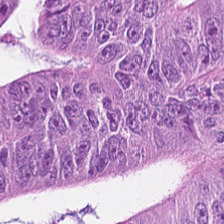H&E. This patch shows colorectal adenocarcinoma epithelium.
